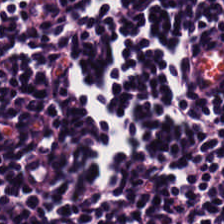FFPE · hematoxylin and eosin.
Predominant tissue: lymphocytes.
